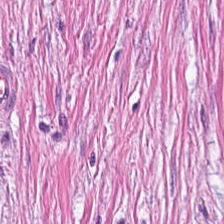This patch shows tumor stroma.
